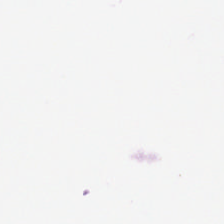Hematoxylin-and-eosin stained section — Q: What does this patch show?
A: This is background (no tissue).
